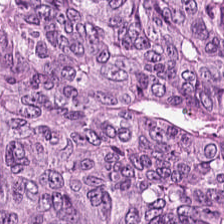H&E-stained tissue section; formalin-fixed paraffin-embedded section; brightfield. Colorectal adenocarcinoma.
